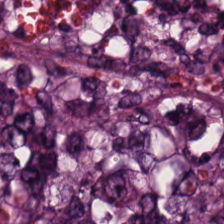Q: What does this patch show?
A: This is tumor epithelium.
